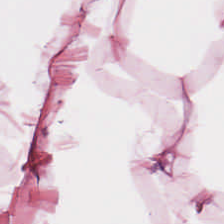H&E-stained tissue section.
Q: What is shown in this field?
A: The field shows adipose tissue.
